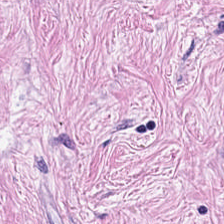H&E stain. Brightfield microscopy — {"tissue_type": "tumor-associated stroma"}
